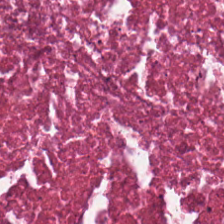Hematoxylin-and-eosin stained section — This field is debris.
